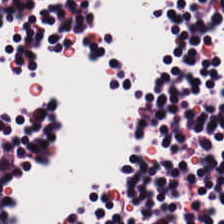FFPE tissue section. Hematoxylin and eosin. Brightfield microscopy — Tissue type: lymphoid infiltrate.
